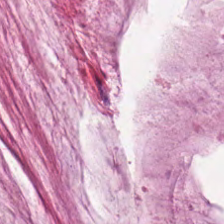H&E-stained tissue section — Predominantly mucin.
